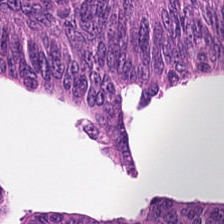The tissue type is colorectal adenocarcinoma epithelium.
